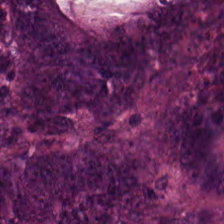Stain: H&E-stained tissue section.
Tissue: adenocarcinoma.
